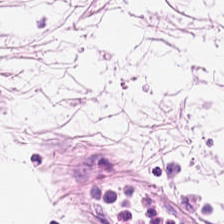Stain: hematoxylin-and-eosin stained section.
Classification: adipocytes.
